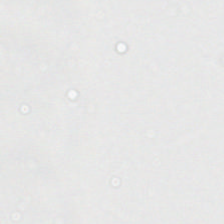Stain: H&E-stained tissue section.
Resolution: 0.5 microns per pixel.
Classification: background (no tissue).
